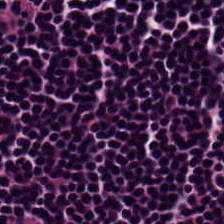Brightfield; hematoxylin and eosin; 0.5 µm per pixel. Tissue class = lymphocytic infiltrate.
